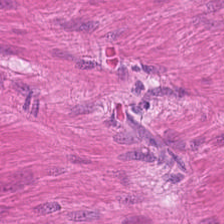H&E. Classification: smooth muscle.
